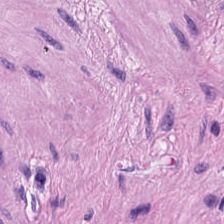Hematoxylin-and-eosin stained section — Predominant tissue — smooth muscle.
